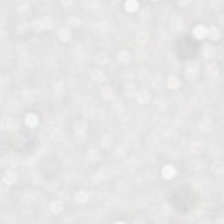H&E. 224×224 px patch — {"content": "background (no tissue)"}
